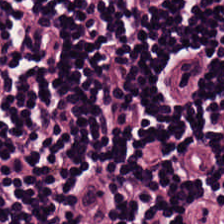Hematoxylin-and-eosin stained section · brightfield microscopy. Predominantly lymphocytic infiltrate.
